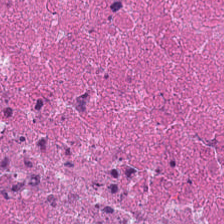Stain: hematoxylin-and-eosin stained section.
Preparation: FFPE tissue section.
Tissue class: necrotic debris.
